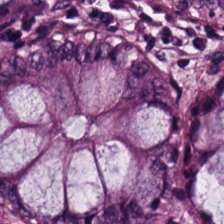Stain: H&E-stained tissue section.
Predominant tissue: normal colon mucosa.
